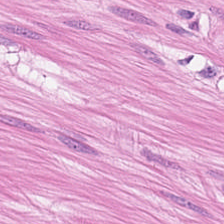H&E-stained tissue section — This patch shows muscularis.
